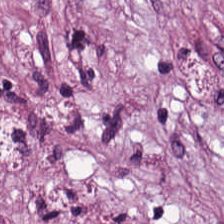Histology → tumor-associated stroma.
